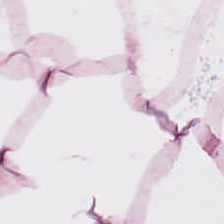Showing adipose.
